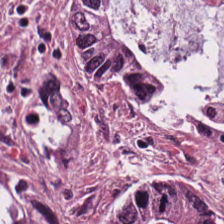Q: What is shown here?
A: The field shows colorectal adenocarcinoma epithelium.
